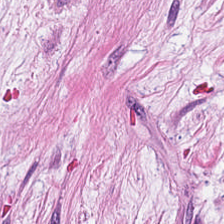Hematoxylin-and-eosin stained section; brightfield; 224×224 px tile — Showing tumor-associated stroma.
